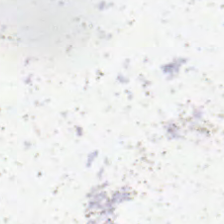H&E-stained tissue section · 224×224 px tile · brightfield.
Q: What is shown here?
A: No tissue.
